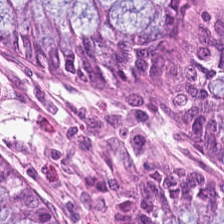Impression — normal colon mucosa.
